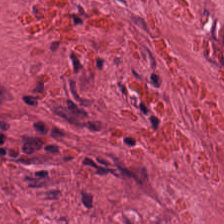H&E stain.
Predominantly tumor-associated stroma.
